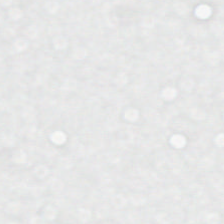H&E-stained tissue section — Q: What is shown in this field?
A: This is background (no tissue).
